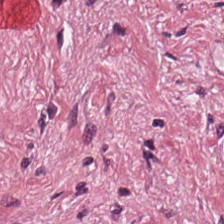Impression → tumor stroma.
